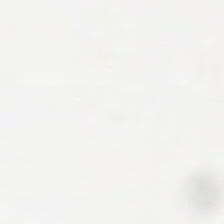H&E-stained tissue section — This field is background (no tissue).
